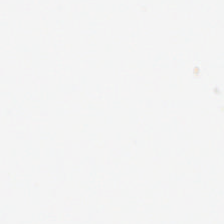FFPE. H&E-stained tissue section — Histology → no tissue.
